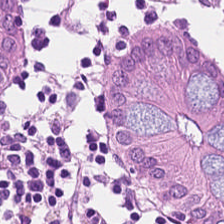H&E-stained tissue section.
Non-neoplastic colon mucosa.
